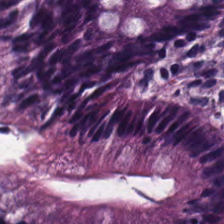224×224 px patch. Hematoxylin-and-eosin stained section.
Q: What is shown here?
A: The field shows benign colonic mucosa.
